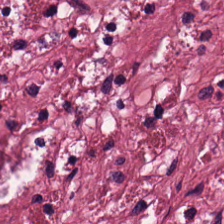224×224 px tile; brightfield; H&E stain. Finding → desmoplastic stroma.
